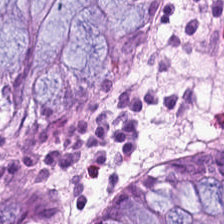20× equivalent magnification · hematoxylin-and-eosin stained section · brightfield. This field is normal colonic mucosa.
